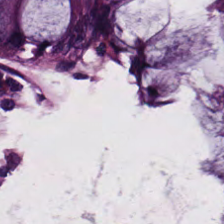FFPE; hematoxylin and eosin; 224×224 px patch — {"tissue_type": "benign colonic mucosa"}
